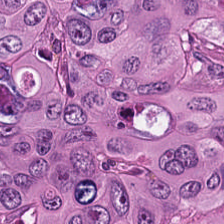H&E — colorectal adenocarcinoma.
